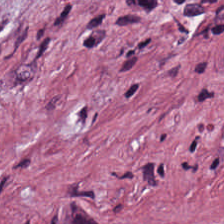H&E; 224×224 px patch. This field is tumor-associated stroma.
